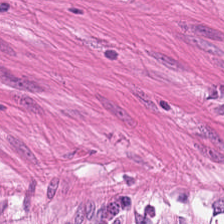H&E — Histology — muscularis.
